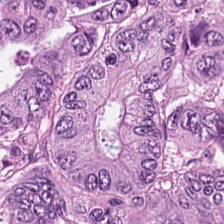Showing adenocarcinoma.
